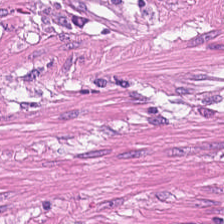H&E — Smooth-muscle tissue.
